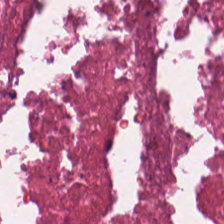{"tissue_type": "debris"}
